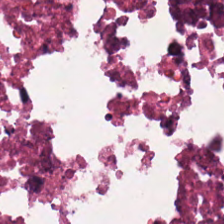Classification = necrotic debris.
